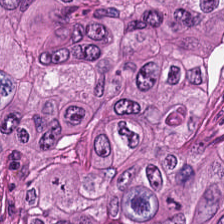Brightfield; H&E stain. Q: What is the predominant tissue type?
A: The field shows adenocarcinoma.
